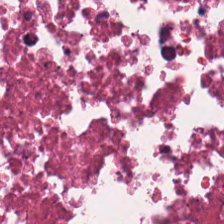H&E. Impression → necrotic debris.
